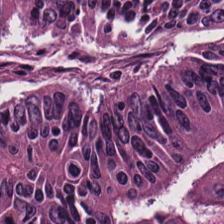Brightfield microscopy · hematoxylin-and-eosin stained section · FFPE.
This field is adenocarcinoma.
